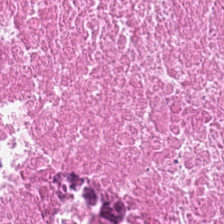H&E stain · brightfield microscopy · 224×224 px tile — Predominant tissue: debris.
